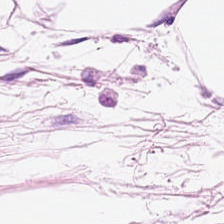H&E-stained tissue section; 224×224 pixel tile — This field is adipose.
